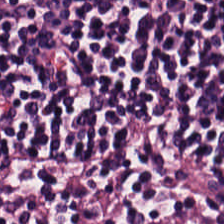0.5 µm per pixel; H&E stain. This patch shows lymphocytes.
